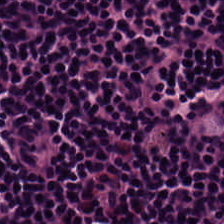H&E-stained tissue section; WSI patch.
Classification = lymphoid infiltrate.
